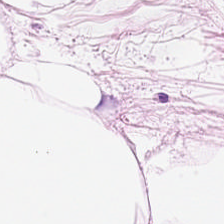Stain: H&E stain.
Predominant tissue: adipose.
